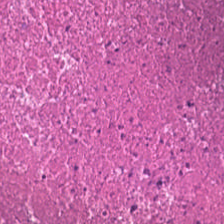{"tissue_type": "debris"}
